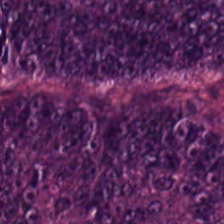H&E stain.
Tissue: colorectal adenocarcinoma.
